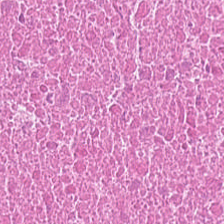This field is cellular debris.
